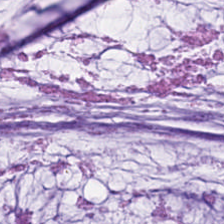0.5 microns per pixel; H&E-stained tissue section — This patch shows mucin.
